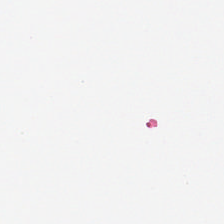Hematoxylin and eosin. No tissue present; background only.
